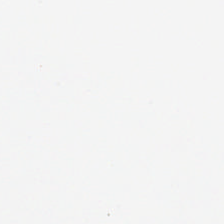WSI patch · 224×224 px patch · H&E-stained tissue section. Empty field — empty background.
